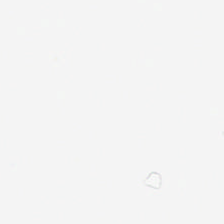Hematoxylin and eosin.
Content — background (no tissue).
